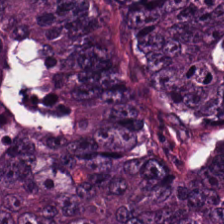Stain: hematoxylin and eosin.
Resolution: 0.5 microns per pixel.
Tissue type: colorectal adenocarcinoma epithelium.
